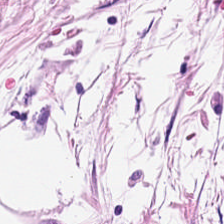Tissue type — adipose tissue.
